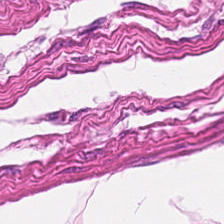FFPE; H&E.
{"tissue_type": "smooth muscle"}
